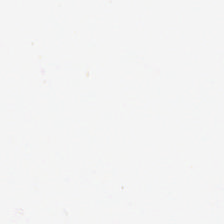Hematoxylin and eosin · FFPE tissue section — This field is background (no tissue).
